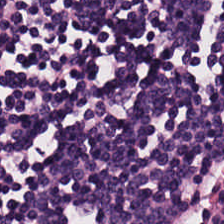Hematoxylin-and-eosin stained section; FFPE; 0.5 µm/px — Finding — lymphocytes.
